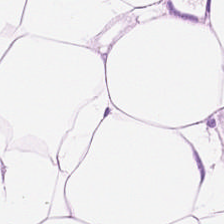Tissue class = fat tissue.
